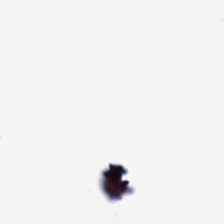Hematoxylin and eosin — The field content is empty background.
